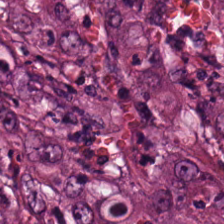0.5 µm per pixel · hematoxylin and eosin. Q: What is shown here?
A: It is malignant epithelium.
